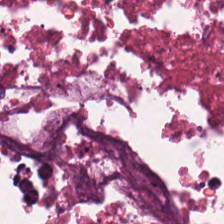Stain: H&E stain.
Tissue class: debris.
